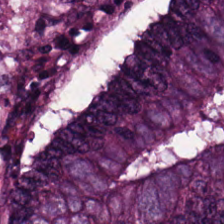H&E. FFPE tissue section.
The predominant tissue is adenocarcinoma.
